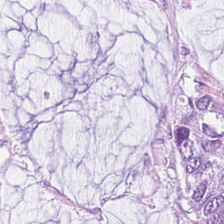Stain: hematoxylin and eosin.
Tissue: extracellular mucin.
